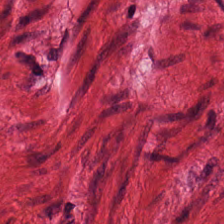Predominant tissue = smooth muscle.
